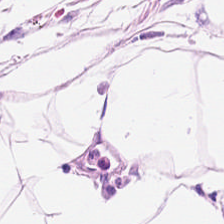H&E — Predominant tissue: adipocytes.
